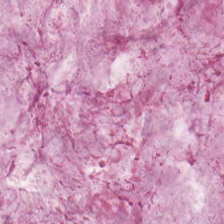H&E-stained tissue section · FFPE tissue section.
Impression → mucus.
